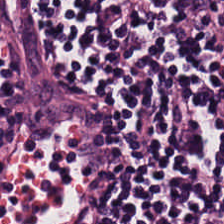H&E. Whole-slide-image patch. Formalin-fixed paraffin-embedded section. {"tissue_type": "lymphocytes"}
